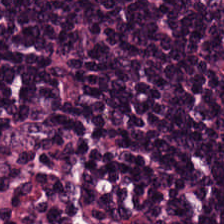Q: Identify the tissue.
A: Lymphocytic infiltrate.
